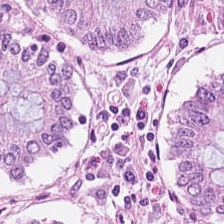224×224 px tile · WSI patch · hematoxylin-and-eosin stained section.
Q: What is shown here?
A: This is normal colonic mucosa.
